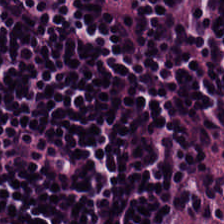H&E stain — Showing lymphoid infiltrate.
